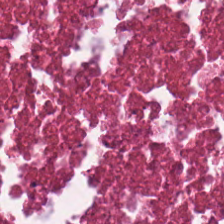Impression — debris.
